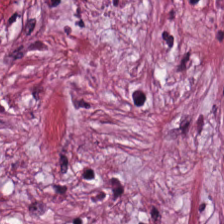0.5 µm per pixel · H&E — Tissue type = tumor-associated stroma.
